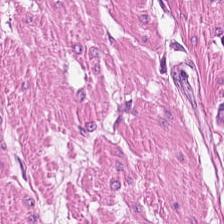Stain: H&E.
Predominant tissue: smooth muscle.
